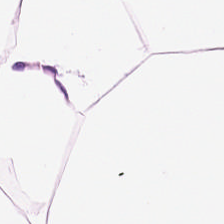H&E-stained tissue section — The predominant tissue is adipocytes.
